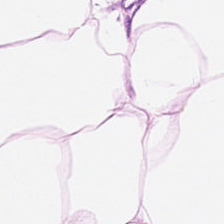H&E — Tissue class — adipose.
